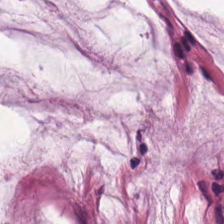20× equivalent magnification. H&E stain — The tissue here is mucus.
